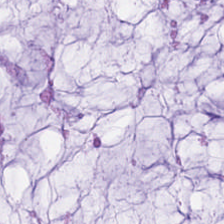This field is mucin.
